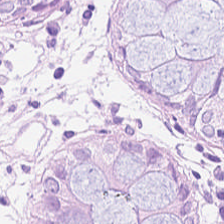Classification: benign colonic mucosa.
